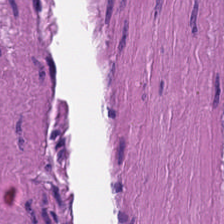Showing muscularis.
